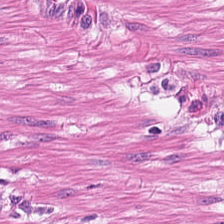Hematoxylin and eosin — Tissue class = muscularis.
